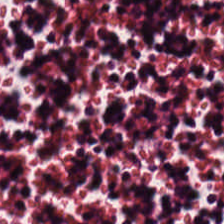Hematoxylin-and-eosin stained section — Q: Classify this patch.
A: The field shows lymphocytes.
